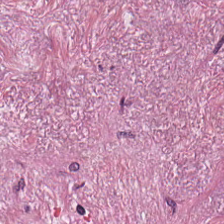Tissue class: tumor-associated stroma.
